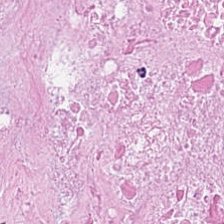H&E. FFPE tissue section. 0.5 µm/px.
Debris.
